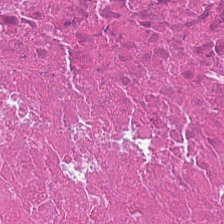0.5 µm per pixel. Hematoxylin-and-eosin stained section. FFPE tissue section. Q: What is shown in this field?
A: The field shows debris.
